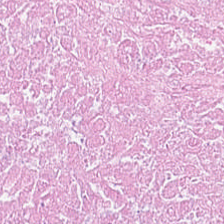H&E.
Finding — debris.
